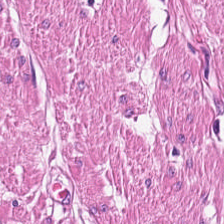FFPE tissue section. 0.5 microns per pixel. Hematoxylin-and-eosin stained section.
{"tissue_type": "muscularis"}
